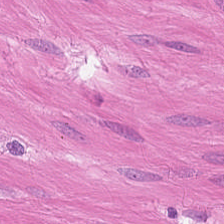Stain: hematoxylin-and-eosin stained section.
Predominant tissue: smooth muscle.
